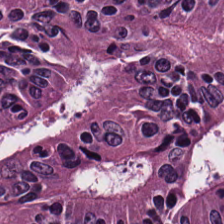H&E stain · FFPE tissue section.
Predominant tissue = colorectal adenocarcinoma.
